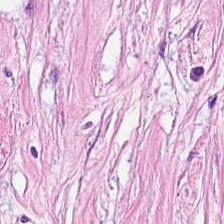Brightfield microscopy · H&E. Q: What does this patch show?
A: This is tumor-associated stroma.
